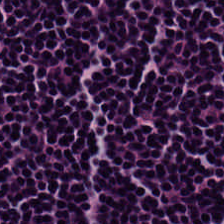Hematoxylin and eosin.
Predominant tissue: lymphocytic infiltrate.
